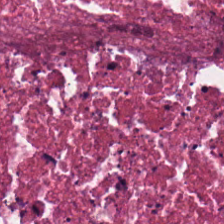H&E stain. The tissue here is debris.
